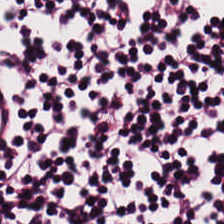Hematoxylin-and-eosin stained section.
Histology — lymphocytes.
